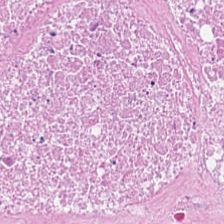H&E-stained tissue section.
The tissue here is necrotic debris.
